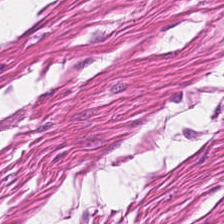Showing smooth-muscle tissue.
